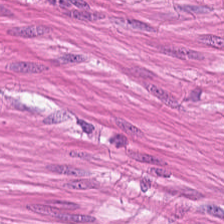20× equivalent magnification. 224×224 px tile. Hematoxylin and eosin.
The tissue type is smooth-muscle tissue.
